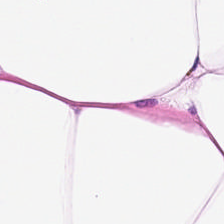Hematoxylin-and-eosin stained section — This field is adipose tissue.
